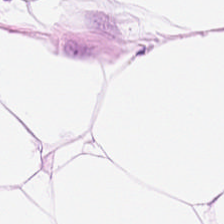H&E-stained tissue section. Histology — adipocytes.
